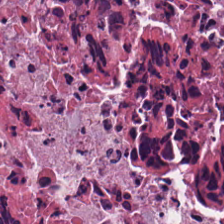Stain: H&E.
Preparation: FFPE tissue section.
Tissue: necrotic debris.
